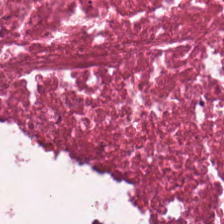Stain: H&E.
Predominant tissue: cellular debris.
